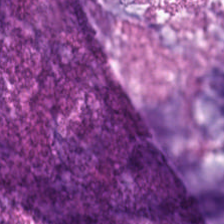Hematoxylin-and-eosin stained section.
The classification is mucus.
